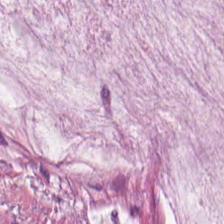H&E-stained section; the field shows mucus.
